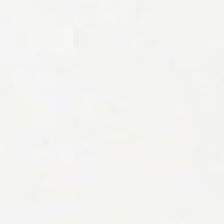Background — no tissue in this field.
